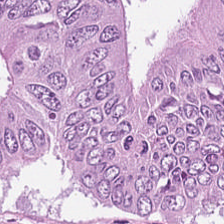Finding — malignant epithelium.
